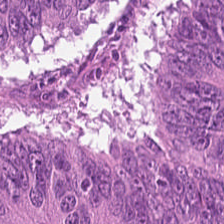Hematoxylin and eosin; 0.5 microns per pixel — Classification — colorectal adenocarcinoma.
